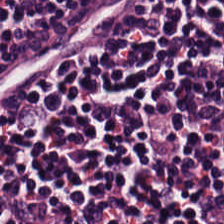H&E; FFPE tissue section; 0.5 microns per pixel. This field is lymphocytic infiltrate.
